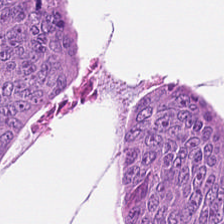H&E. FFPE. Q: What does this patch show?
A: It is colorectal adenocarcinoma epithelium.
